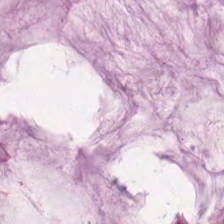Hematoxylin and eosin · 224×224 px patch. Q: Classify this patch.
A: It is extracellular mucin.
